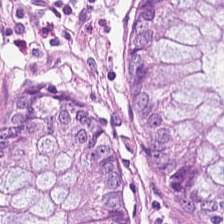H&E. 0.5 µm per pixel. Brightfield microscopy.
Tissue class — normal colon mucosa.
